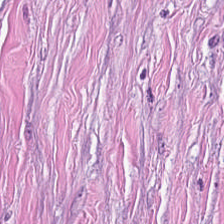Q: What is shown here?
A: The field shows desmoplastic stroma.
